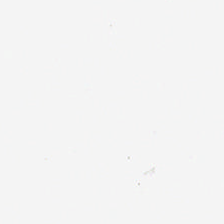Hematoxylin-and-eosin stained section.
Empty field — empty background.
